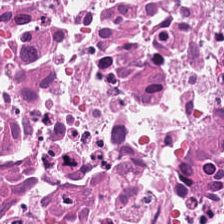H&E stain.
This patch shows cellular debris.
